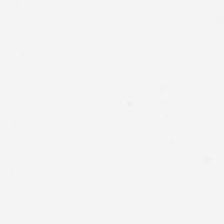Brightfield microscopy · 224×224 px tile · H&E. This patch shows background.
